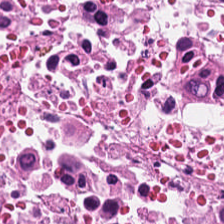Stain: hematoxylin-and-eosin stained section.
Tissue type: debris.
